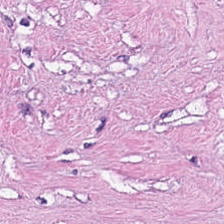This patch shows debris.
